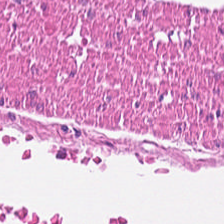224×224 pixel tile · H&E.
Q: Classify this patch.
A: It is smooth-muscle tissue.
